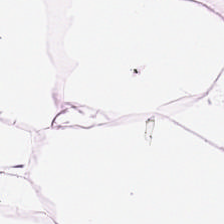Formalin-fixed paraffin-embedded section; hematoxylin and eosin. This patch shows adipose.
